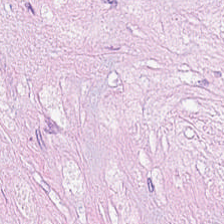H&E stain — Q: Classify this patch.
A: It is desmoplastic stroma.
